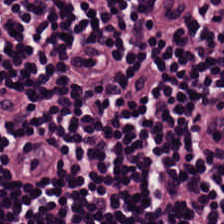This patch shows lymphocytes.
